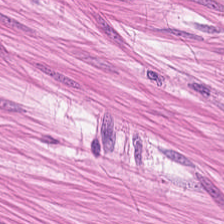H&E-stained tissue section — This field is smooth-muscle tissue.
